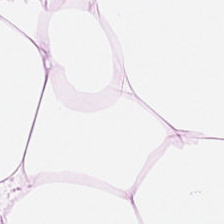Tissue class = fat tissue.
